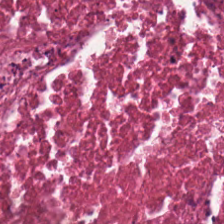Q: What is the predominant tissue type?
A: This is cellular debris.
